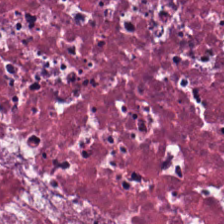FFPE · hematoxylin-and-eosin stained section · brightfield. The tissue here is necrotic debris.
